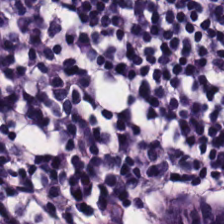H&E.
Tissue type: lymphocytes.
